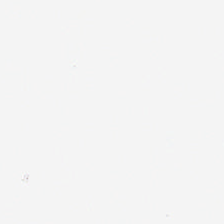H&E — No tissue present; background only.
